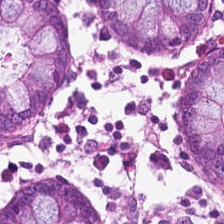H&E stain. Tissue — normal colon mucosa.
